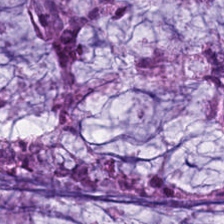Mucin.
